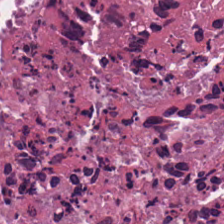Brightfield microscopy. H&E. 224×224 px patch.
Q: What does this patch show?
A: It is necrotic debris.
